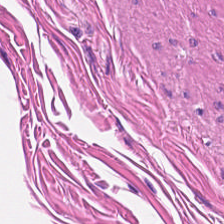H&E-stained tissue section; 224×224 px patch; brightfield — Q: What type of tissue is this?
A: It is smooth muscle.
